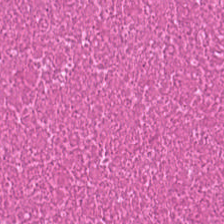Predominantly debris.
